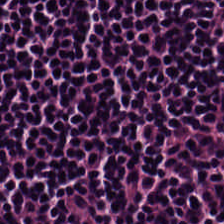Stain: H&E stain.
Classification: lymphoid infiltrate.
